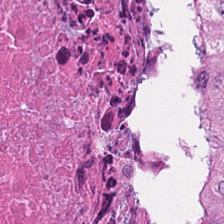224×224 px tile; H&E stain; 20× equivalent magnification. Q: What tissue type is shown here?
A: The field shows debris.
